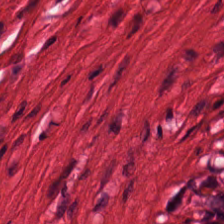H&E — muscularis.
